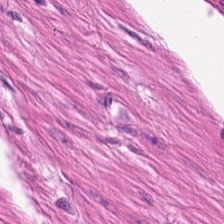WSI patch. Hematoxylin-and-eosin stained section — Classification — smooth muscle.
